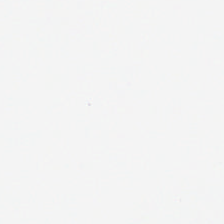H&E.
Classification — empty background.
